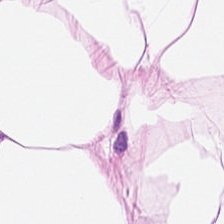224×224 px tile. Hematoxylin-and-eosin stained section.
Predominant tissue — adipocytes.
